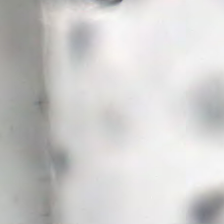H&E.
No tissue present; background only.
